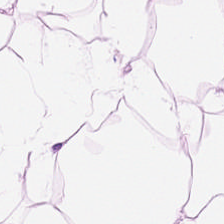Stain: hematoxylin and eosin.
Predominant tissue: adipose tissue.
